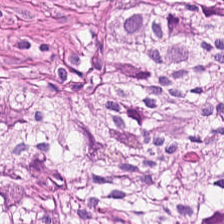H&E stain · 0.5 microns per pixel. Q: What tissue is shown?
A: It is smooth-muscle tissue.
